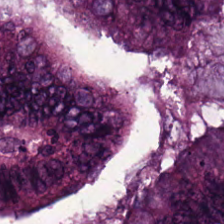H&E-stained tissue section showing colorectal adenocarcinoma epithelium.
